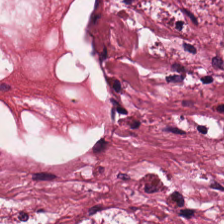0.5 µm per pixel. H&E. Predominant tissue = tumor-associated stroma.
